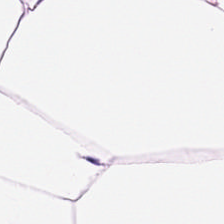Stain: hematoxylin and eosin.
Predominant tissue: adipose.
